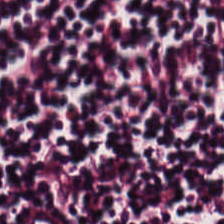Hematoxylin-and-eosin stained section — The predominant tissue is lymphoid infiltrate.
